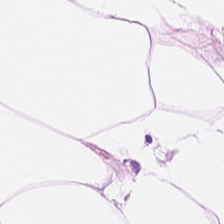Stain: H&E-stained tissue section.
Tissue class: adipocytes.
